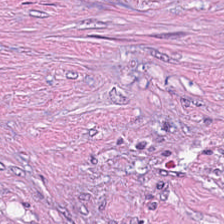H&E-stained section; the field shows desmoplastic stroma.
